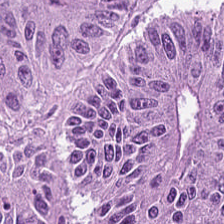224×224 px patch · FFPE tissue section · H&E-stained tissue section.
Malignant epithelium.
